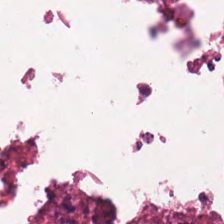The tissue here is debris.
